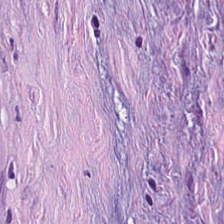Stain: H&E stain.
Tissue class: cancer-associated stroma.
